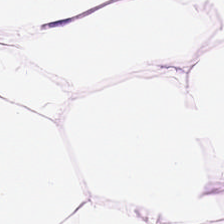Stain: H&E.
Resolution: 0.5 µm per pixel.
Tile size: 224×224 px tile.
Classification: adipocytes.
